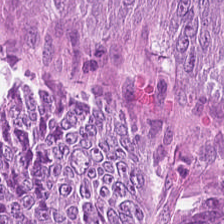WSI patch · H&E stain — Q: What is shown here?
A: Adenocarcinoma.
